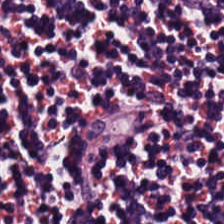H&E-stained tissue section · brightfield · 224×224 px tile. Tissue class — lymphocyte aggregate.
